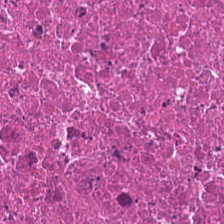Stain: hematoxylin and eosin.
Tissue: debris.
